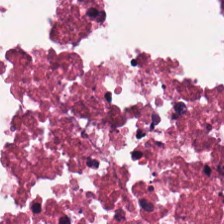Finding — cellular debris.
